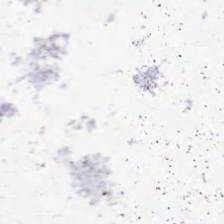H&E stain · 224×224 pixel tile. Empty field — empty background.
